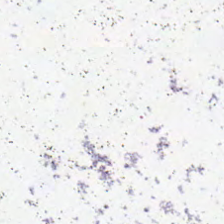Hematoxylin-and-eosin stained section — {"content": "background"}
